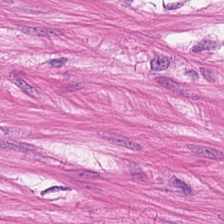0.5 µm/px · formalin-fixed paraffin-embedded section · H&E — Tissue class = smooth muscle.
